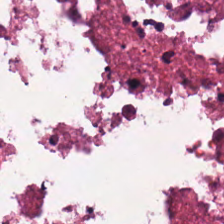Stain: H&E-stained tissue section.
Predominant tissue: necrotic debris.
